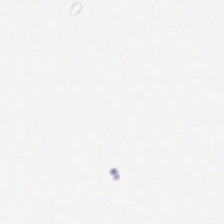{"content": "background"}
